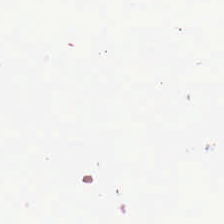Hematoxylin-and-eosin stained section.
This patch shows empty background.
